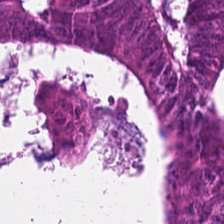Hematoxylin-and-eosin stained section.
The tissue here is colorectal adenocarcinoma epithelium.
